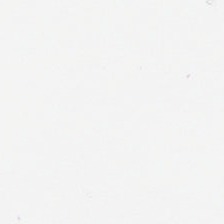H&E stain. Background — no tissue in this field.
